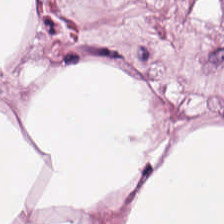H&E-stained tissue section; 0.5 microns per pixel.
{"tissue_type": "adipocytes"}
